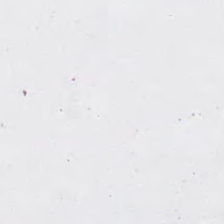Stain: H&E stain.
Field content: empty background.
